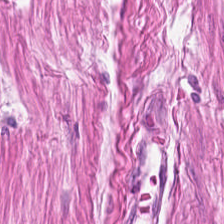Stain: hematoxylin and eosin.
Tissue type: smooth muscle.
